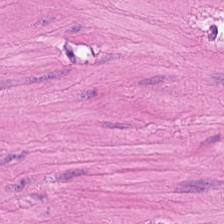Q: Identify the tissue.
A: Smooth muscle.
